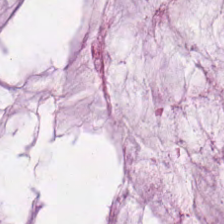0.5 microns per pixel; formalin-fixed paraffin-embedded section; hematoxylin-and-eosin stained section. Tissue type: mucus.
